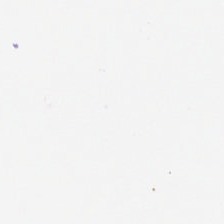0.5 µm per pixel. H&E stain — This patch shows empty background.
